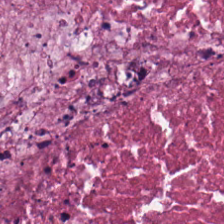H&E — necrotic debris.
